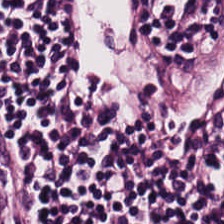H&E patch showing lymphocytes.
